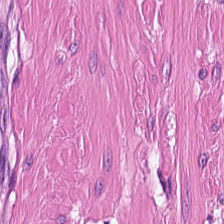H&E-stained tissue section. Formalin-fixed paraffin-embedded section.
Predominant tissue: muscularis.
